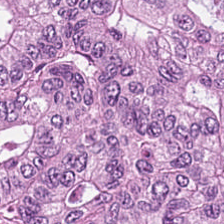Stain: hematoxylin-and-eosin stained section.
Tissue type: tumor epithelium.
